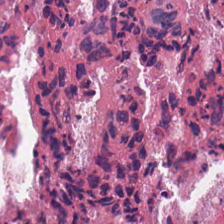H&E stain.
{"tissue_type": "debris"}
